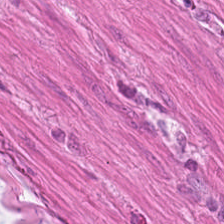{"tissue_type": "smooth-muscle tissue"}
